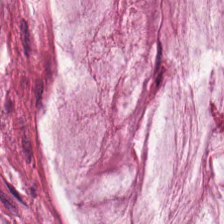Hematoxylin-and-eosin stained section · brightfield microscopy. The predominant tissue is mucin.
